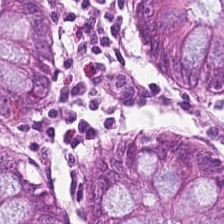H&E stain.
Histology — normal colonic mucosa.
